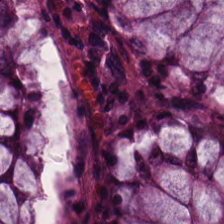Showing non-neoplastic colon mucosa.
